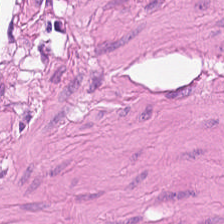Hematoxylin and eosin.
Impression → smooth-muscle tissue.
